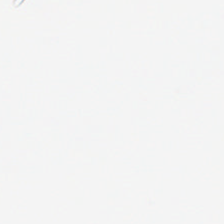This patch shows empty background.
